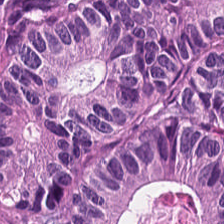0.5 µm per pixel · H&E stain. {"tissue_type": "colorectal adenocarcinoma epithelium"}
